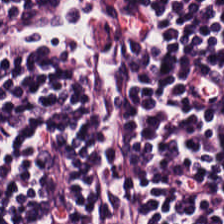Hematoxylin-and-eosin stained section.
Q: What tissue is shown?
A: This is lymphocyte aggregate.
